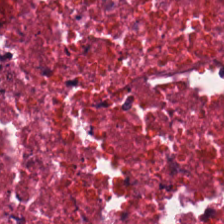224×224 pixel tile · H&E.
Tissue type — necrotic debris.
